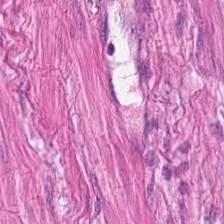H&E stain — Muscularis.
